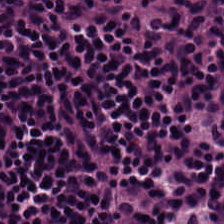Stain: H&E-stained tissue section.
Tissue: lymphocytes.
